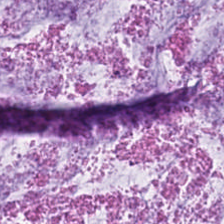0.5 µm per pixel; 224×224 px tile; hematoxylin and eosin.
Classification = mucus.
